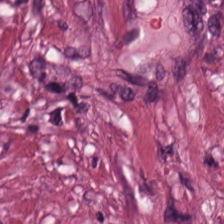FFPE tissue section · 224×224 pixel tile · hematoxylin-and-eosin stained section — Tissue — desmoplastic stroma.
